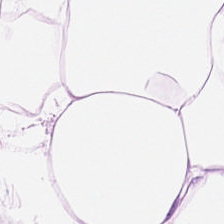H&E.
The tissue here is adipocytes.
